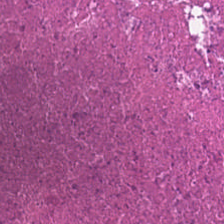H&E stain.
Q: Identify the tissue.
A: It is necrotic debris.
